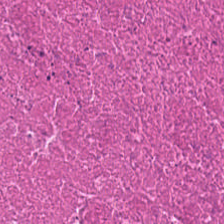H&E. Q: Classify this patch.
A: This is cellular debris.
